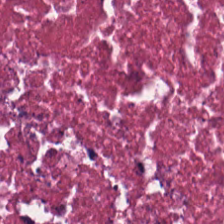H&E-stained tissue section — Classification = necrotic debris.
